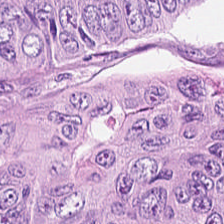Stain: H&E.
Preparation: formalin-fixed paraffin-embedded section.
Resolution: 20× equivalent magnification.
Tissue type: malignant epithelium.
